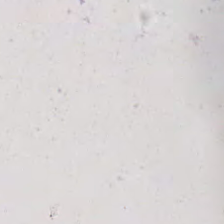H&E; brightfield microscopy.
Classification: background.
